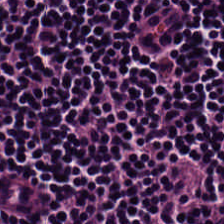Whole-slide-image patch. Hematoxylin and eosin. FFPE.
The classification is lymphocytes.
